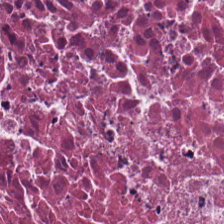Q: What is shown here?
A: Debris.
